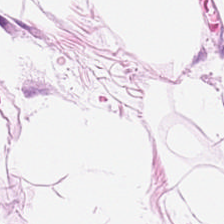Hematoxylin and eosin.
The predominant tissue is adipocytes.
